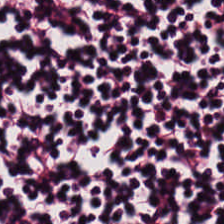Tissue class: lymphocytes.
